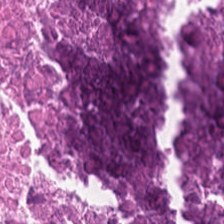H&E stain — Q: Identify the tissue.
A: This is necrotic debris.
